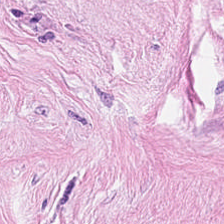H&E — Predominantly tumor-associated stroma.
